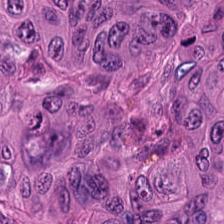H&E-stained tissue section.
Q: What is the predominant tissue type?
A: This is malignant epithelium.
